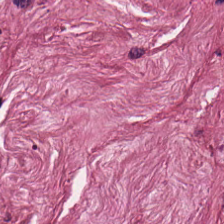224×224 pixel tile; H&E stain; FFPE tissue section — Q: What does this patch show?
A: It is tumor-associated stroma.
